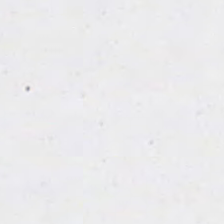Hematoxylin and eosin.
This patch shows empty background.
